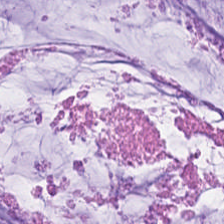{"tissue_type": "mucin"}
